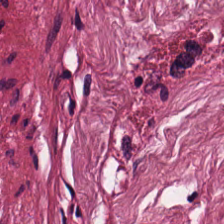224×224 pixel tile. Hematoxylin and eosin — Q: What is the predominant tissue type?
A: Tumor stroma.
